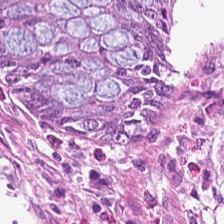H&E patch showing normal colonic mucosa.
